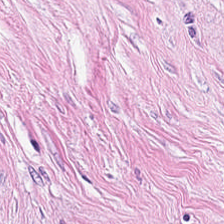0.5 microns per pixel; H&E.
Q: What does this patch show?
A: The field shows tumor-associated stroma.
